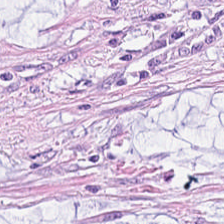FFPE · H&E-stained tissue section · 224×224 px patch — Impression → mucin.
